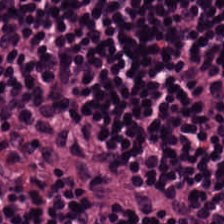FFPE. Hematoxylin and eosin. Brightfield microscopy. Classification: lymphocytes.
